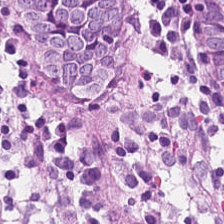Hematoxylin and eosin · 224×224 px patch · FFPE tissue section — The tissue class is non-neoplastic colon mucosa.
